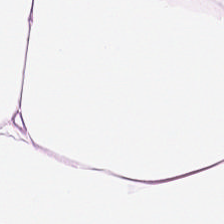H&E; brightfield microscopy — Predominantly adipose.
